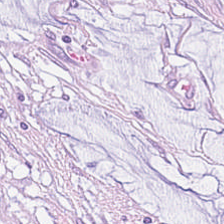Extracellular mucin.
